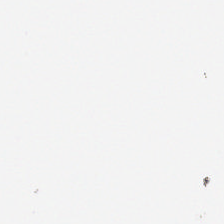Histology → empty background.
